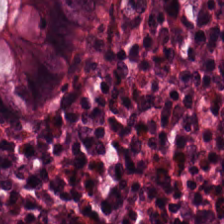0.5 µm per pixel; H&E stain; brightfield — Q: What type of tissue is this?
A: It is non-neoplastic colon mucosa.
